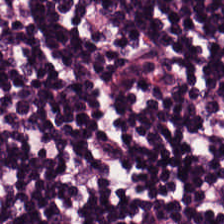{"tissue_type": "lymphoid infiltrate"}
